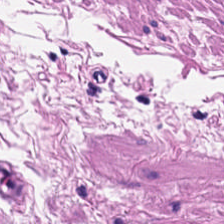0.5 µm per pixel; H&E. This field is smooth-muscle tissue.
